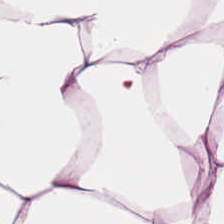H&E stain. The tissue class is fat tissue.
